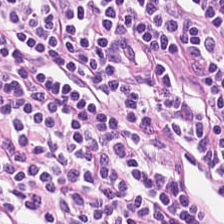FFPE · H&E.
This field is lymphocytes.
